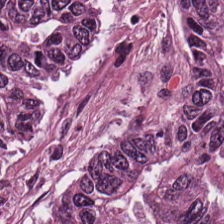Hematoxylin and eosin.
Predominantly adenocarcinoma.
